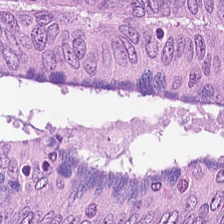Predominant tissue: adenocarcinoma.
